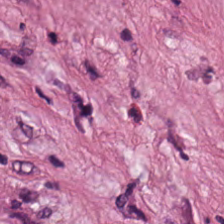Brightfield microscopy; H&E-stained tissue section — Q: What is the predominant tissue type?
A: Tumor stroma.
